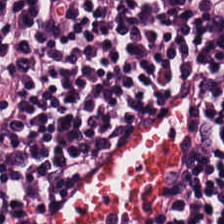H&E. Brightfield microscopy — {"tissue_type": "lymphocytes"}
